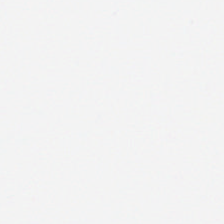224×224 pixel tile. H&E — Q: What is shown here?
A: The field shows no tissue.
